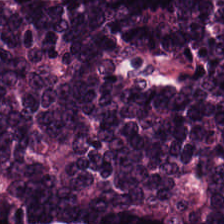Hematoxylin-and-eosin stained section · 0.5 microns per pixel — This field is colorectal adenocarcinoma epithelium.
